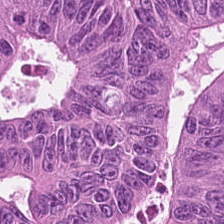Stain: H&E stain.
Tile size: 224×224 px patch.
Preparation: FFPE.
Classification: adenocarcinoma.
